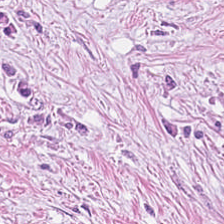Hematoxylin-and-eosin stained section.
The predominant tissue is tumor stroma.
